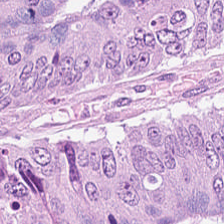Hematoxylin and eosin. Colorectal adenocarcinoma epithelium.
